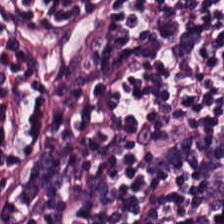Brightfield · H&E-stained tissue section · 224×224 px tile. Predominantly lymphoid infiltrate.
